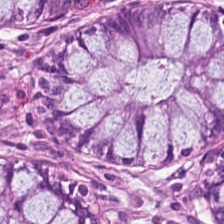H&E-stained tissue section — Predominantly normal colon mucosa.
